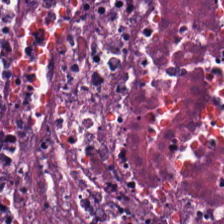Brightfield microscopy. H&E. 224×224 px tile. Tissue type = debris.
